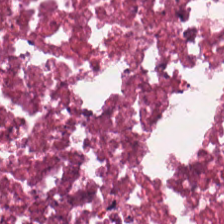Hematoxylin-and-eosin stained section. Cellular debris.
